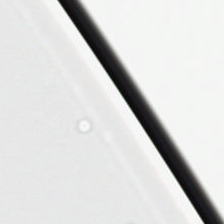Hematoxylin-and-eosin stained section; 224×224 pixel tile; formalin-fixed paraffin-embedded section.
{"content": "empty background"}
